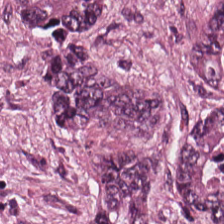Stain: H&E stain.
Classification: tumor epithelium.
